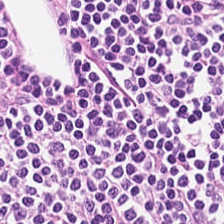224×224 px patch. Hematoxylin-and-eosin stained section.
This patch shows lymphocytes.
